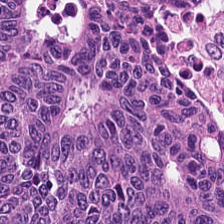224×224 px patch · hematoxylin-and-eosin stained section.
Q: What is the predominant tissue type?
A: This is malignant epithelium.
